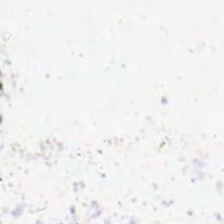FFPE; hematoxylin and eosin — Content — empty background.
